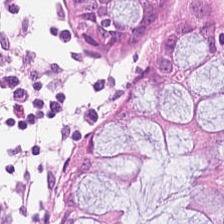The tissue is benign colonic mucosa.
